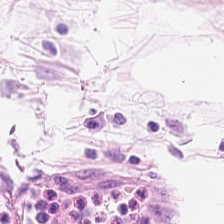H&E stain. This field is adipose tissue.
